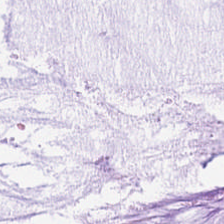Showing mucus.
